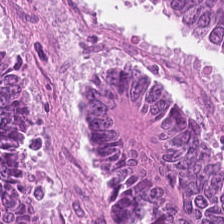H&E · 224×224 pixel tile — The classification is malignant epithelium.
